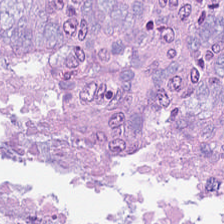Formalin-fixed paraffin-embedded section · 0.5 µm/px · hematoxylin-and-eosin stained section — This patch shows adenocarcinoma.
